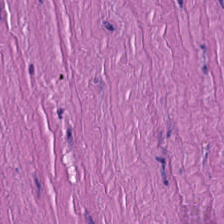H&E stain; 224×224 pixel tile.
The tissue here is muscularis.
